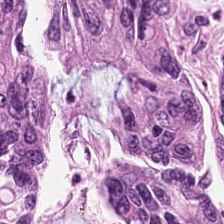H&E patch showing adenocarcinoma.
